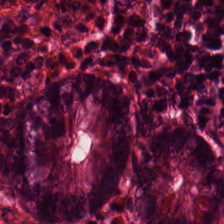H&E-stained tissue section.
Tissue class — normal colonic mucosa.
